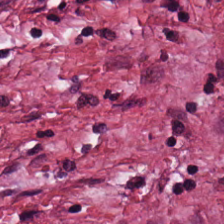This patch shows tumor-associated stroma.
